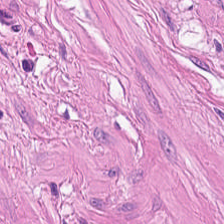Stain: H&E.
Resolution: 0.5 microns per pixel.
Preparation: FFPE.
Tissue class: smooth-muscle tissue.
